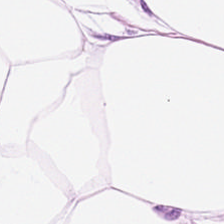H&E. Q: What does this patch show?
A: The field shows adipose tissue.
